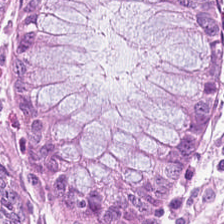Hematoxylin-and-eosin stained section.
Tissue: normal colon mucosa.
